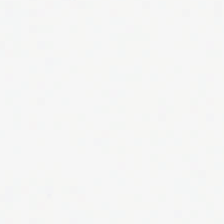Classification: background (no tissue).
